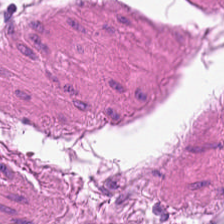224×224 pixel tile; H&E.
The predominant tissue is smooth muscle.
